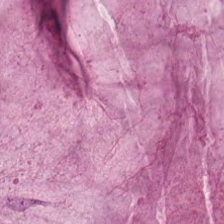Hematoxylin-and-eosin stained section. The predominant tissue is mucin.
